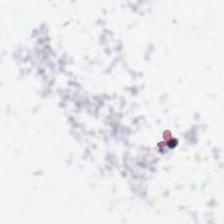Stain: hematoxylin-and-eosin stained section.
Field content: background (no tissue).
